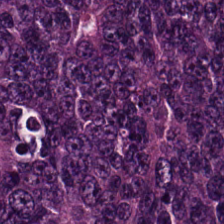H&E; FFPE. The tissue class is colorectal adenocarcinoma.
